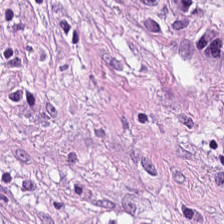Whole-slide-image patch. H&E.
This field is tumor stroma.
